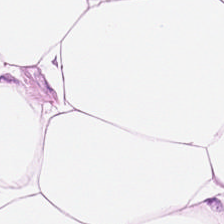H&E — The predominant tissue is fat tissue.
